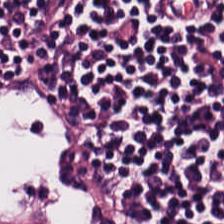H&E-stained tissue section showing lymphocytes.
